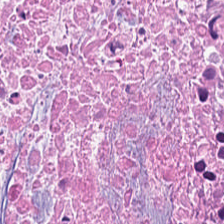224×224 pixel tile · FFPE tissue section · hematoxylin-and-eosin stained section — The tissue here is debris.
